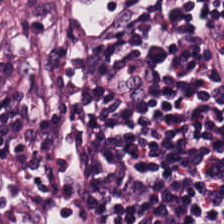Stain: hematoxylin and eosin.
Acquisition: WSI patch.
Tissue class: lymphocyte aggregate.
